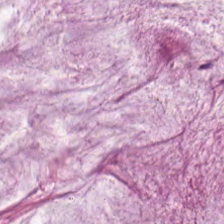H&E-stained tissue section. Q: What does this patch show?
A: The field shows extracellular mucin.
